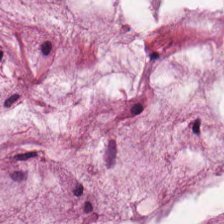H&E. This patch shows mucus.
